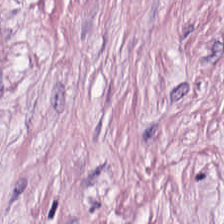H&E-stained tissue section · 20× equivalent magnification — This patch shows tumor stroma.
